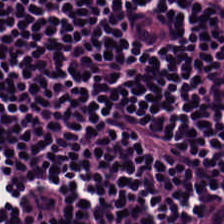224×224 px patch. H&E-stained tissue section. This patch shows lymphocyte aggregate.
